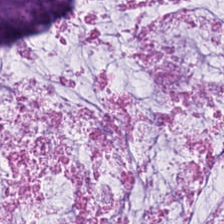H&E stain. WSI patch — {"tissue_type": "mucus"}
